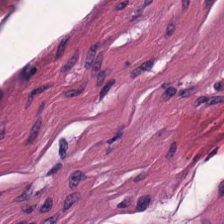Hematoxylin-and-eosin stained section — Impression → smooth muscle.
